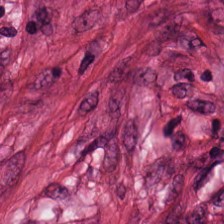224×224 px patch; hematoxylin-and-eosin stained section — The predominant tissue is desmoplastic stroma.
